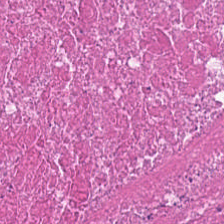Hematoxylin-and-eosin stained section.
Q: Identify the tissue.
A: This is necrotic debris.
